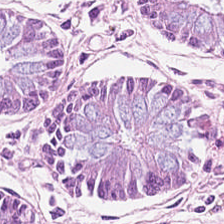FFPE tissue section · H&E stain · WSI patch — This patch shows benign colonic mucosa.
